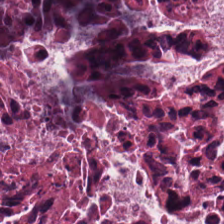224×224 pixel tile · H&E stain — Predominant tissue: necrotic debris.
